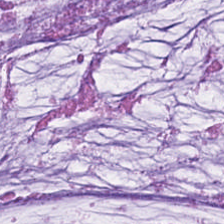FFPE · H&E stain.
Impression → mucin.
